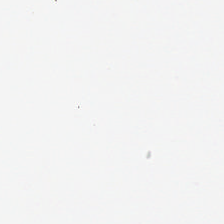Field content: no tissue.
